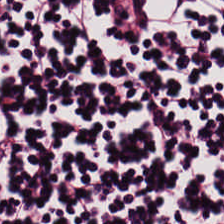{"tissue_type": "lymphoid infiltrate"}
